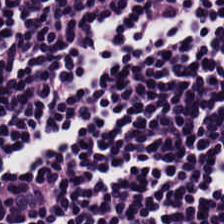H&E-stained tissue section. Predominantly lymphocyte aggregate.
